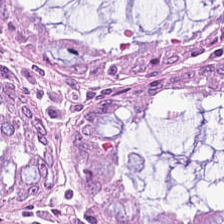Stain: hematoxylin and eosin.
Acquisition: brightfield microscopy.
Preparation: formalin-fixed paraffin-embedded section.
Tissue: normal colonic mucosa.
